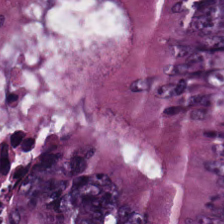Stain: hematoxylin and eosin.
Tissue type: tumor epithelium.
